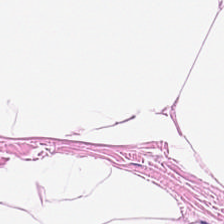0.5 µm/px · hematoxylin-and-eosin stained section · brightfield.
The classification is adipose tissue.
